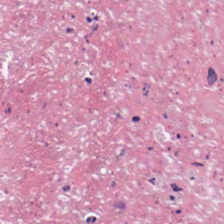WSI patch · hematoxylin and eosin. Cellular debris.
